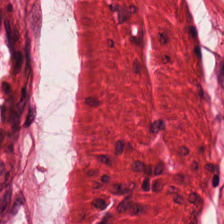H&E stain.
Muscularis.
